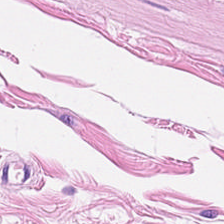Hematoxylin and eosin. Finding — smooth muscle.
